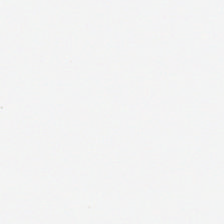H&E-stained tissue section; whole-slide-image patch; 224×224 px tile — {"content": "no tissue"}
